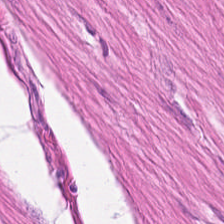H&E-stained tissue section showing muscularis.
